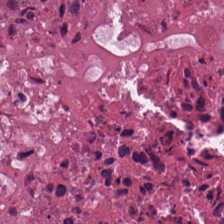0.5 µm per pixel; H&E-stained tissue section.
Q: What is shown here?
A: The field shows debris.
